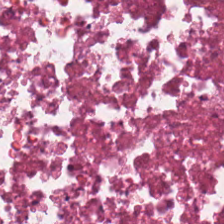Hematoxylin and eosin. The tissue here is cellular debris.
